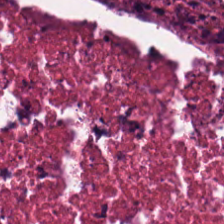H&E-stained tissue section showing necrotic debris.
